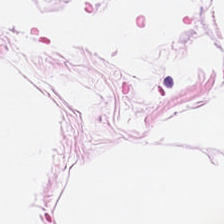Whole-slide-image patch. FFPE tissue section. H&E stain.
Q: Identify the tissue.
A: Fat tissue.
